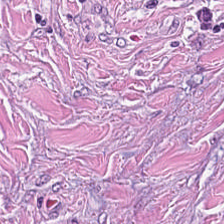H&E-stained tissue section · 0.5 microns per pixel.
Q: What tissue is shown?
A: It is tumor stroma.
